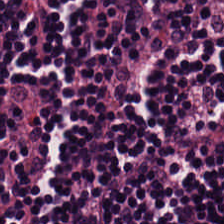224×224 px tile. 0.5 µm/px. H&E — This field is lymphocytes.
